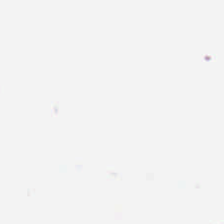0.5 µm per pixel. Whole-slide-image patch. Hematoxylin and eosin — Background — no tissue in this field.
